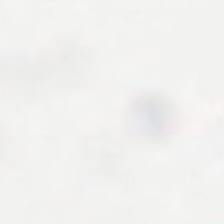Content: no tissue.
